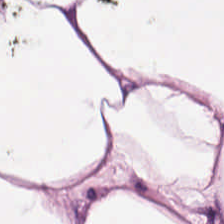Hematoxylin and eosin.
Predominantly fat tissue.
